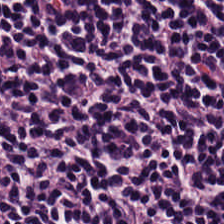Hematoxylin and eosin; 224×224 pixel tile — Lymphocytic infiltrate.
